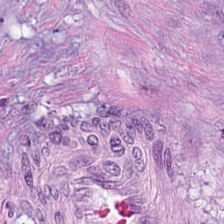H&E stain · formalin-fixed paraffin-embedded section. This field is desmoplastic stroma.
